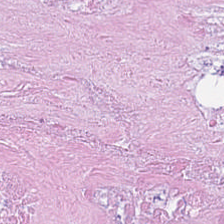H&E · 224×224 px tile · formalin-fixed paraffin-embedded section.
This field is necrotic debris.
